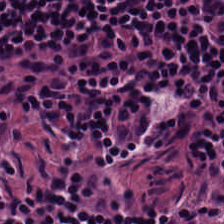H&E stain. Lymphocytic infiltrate.
